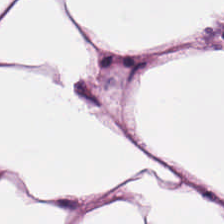FFPE tissue section · hematoxylin-and-eosin stained section.
The tissue class is adipose.
